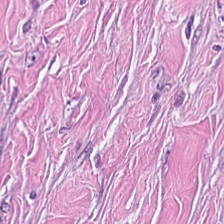Stain: H&E-stained tissue section.
Predominant tissue: desmoplastic stroma.
